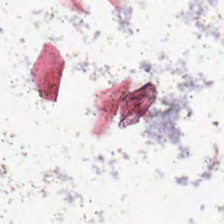H&E stain. 0.5 µm/px. 224×224 pixel tile. Q: Classify this patch.
A: It is no tissue.
